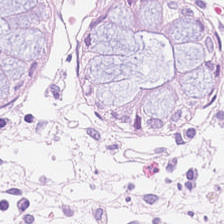20× equivalent magnification · H&E. The tissue is benign colonic mucosa.
